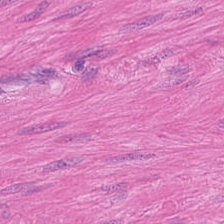Hematoxylin and eosin — Predominantly smooth muscle.
